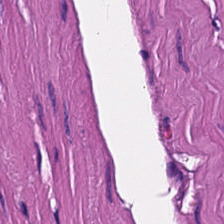Stain: H&E stain.
Classification: smooth-muscle tissue.
